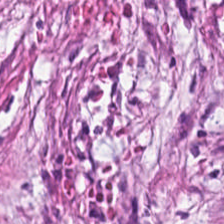Tissue type — tumor-associated stroma.
